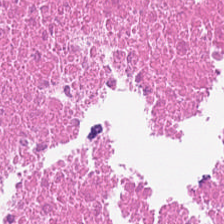Stain: hematoxylin and eosin.
Tile size: 224×224 px patch.
Preparation: formalin-fixed paraffin-embedded section.
Tissue: cellular debris.
